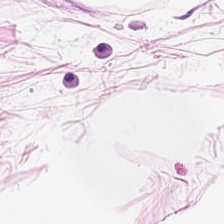Stain: H&E-stained tissue section.
Acquisition: brightfield microscopy.
Tissue: adipocytes.
